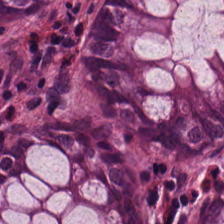Q: What type of tissue is this?
A: Benign colonic mucosa.
